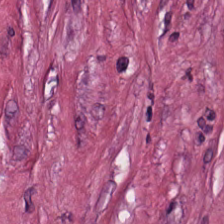224×224 px tile. FFPE. Hematoxylin and eosin. Tissue class — desmoplastic stroma.
